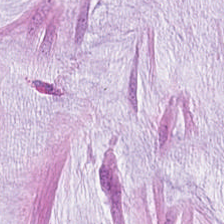Hematoxylin and eosin.
This patch shows mucus.
